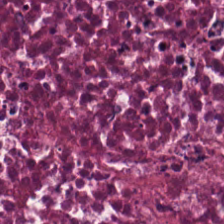Hematoxylin and eosin. Brightfield microscopy.
This patch shows cellular debris.
